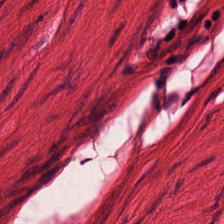H&E · FFPE — Muscularis.
